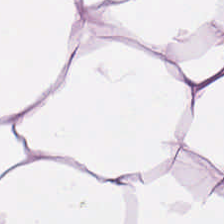0.5 µm/px; H&E-stained tissue section; WSI patch. The tissue type is adipose tissue.
